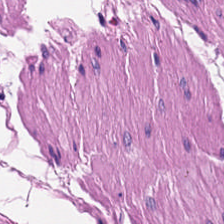H&E. 20× equivalent magnification — Smooth-muscle tissue.
